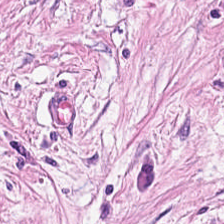Stain: hematoxylin and eosin.
Preparation: formalin-fixed paraffin-embedded section.
Tissue class: cancer-associated stroma.
